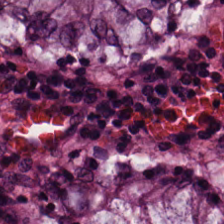H&E. Predominant tissue — normal colon mucosa.
